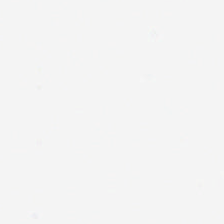H&E-stained tissue section — Background — no tissue in this field.
